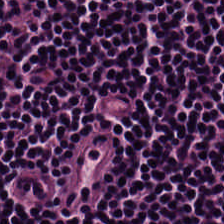Lymphocytes.
